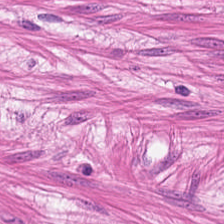FFPE; hematoxylin and eosin; 224×224 px tile. Smooth-muscle tissue.
